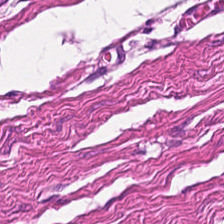Stain: H&E stain.
Predominant tissue: smooth muscle.
